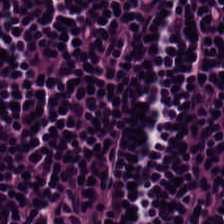H&E stain.
Histology → lymphocyte aggregate.
